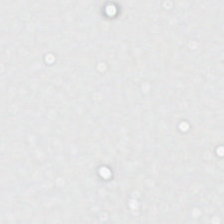H&E.
Empty field — no tissue.
